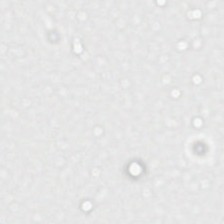224×224 pixel tile. H&E-stained tissue section.
Q: What is shown here?
A: The field shows background (no tissue).
